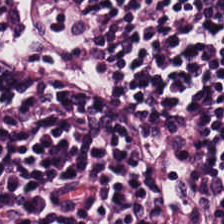Stain: hematoxylin and eosin.
Tile size: 224×224 pixel tile.
Acquisition: WSI patch.
Tissue type: lymphoid infiltrate.
